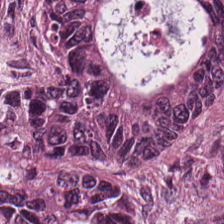H&E stain. Tissue: malignant epithelium.
